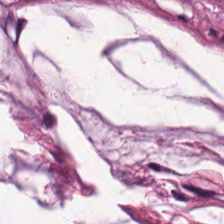Hematoxylin-and-eosin stained section · 0.5 µm/px · 224×224 px tile — The tissue here is extracellular mucin.
